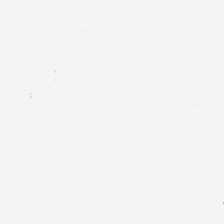Hematoxylin and eosin. Empty field — no tissue.
